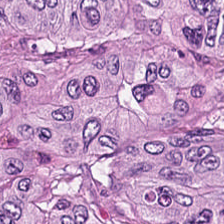{"tissue_type": "tumor epithelium"}
